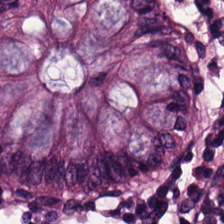Hematoxylin and eosin — The tissue here is non-neoplastic colon mucosa.
